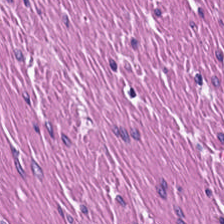H&E · whole-slide-image patch.
Finding → smooth muscle.
